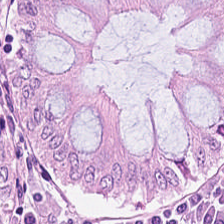H&E-stained tissue section — Showing normal colonic mucosa.
